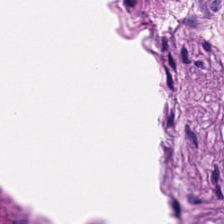H&E-stained tissue section — Showing smooth-muscle tissue.
